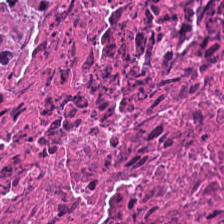H&E-stained tissue section. FFPE. Tissue type = necrotic debris.
